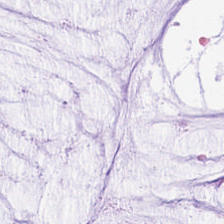H&E-stained tissue section — The predominant tissue is extracellular mucin.
